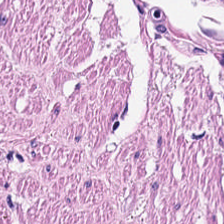Finding → smooth muscle.
